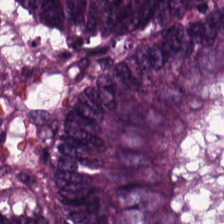H&E stain — Tissue = colorectal adenocarcinoma epithelium.
